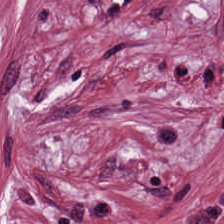The predominant tissue is tumor stroma.
